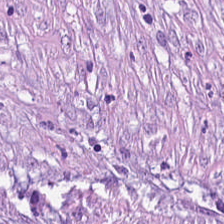Hematoxylin-and-eosin stained section · 20× equivalent magnification — Q: What is shown in this field?
A: Tumor stroma.
